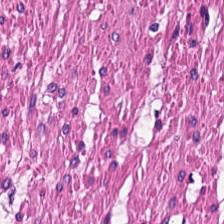Hematoxylin-and-eosin stained section — Impression → smooth muscle.
